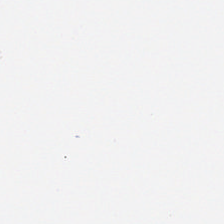No tissue present; background only.
